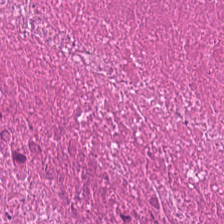0.5 microns per pixel. H&E. The predominant tissue is debris.
